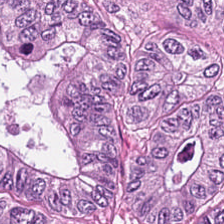Formalin-fixed paraffin-embedded section. Hematoxylin and eosin. Impression → colorectal adenocarcinoma epithelium.
